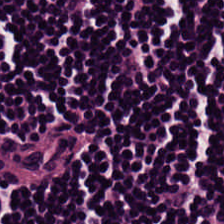Hematoxylin and eosin. Classification: lymphocytic infiltrate.
